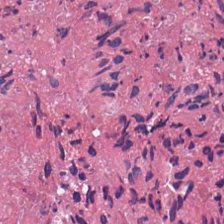WSI patch. 224×224 px tile. H&E stain.
Tissue class = cellular debris.
